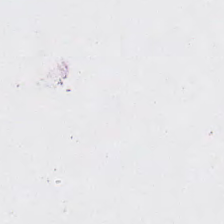Q: Classify this patch.
A: No tissue.
